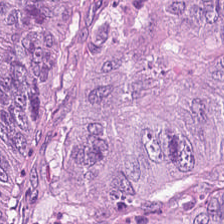Tissue type — colorectal adenocarcinoma.
